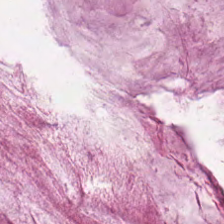0.5 µm per pixel. Hematoxylin and eosin — Showing extracellular mucin.
